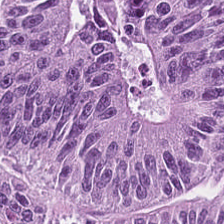224×224 pixel tile; H&E; formalin-fixed paraffin-embedded section. Q: What is shown in this field?
A: It is malignant epithelium.
